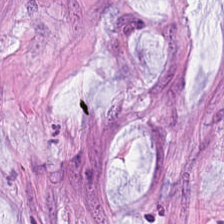Hematoxylin and eosin. Finding → mucus.
